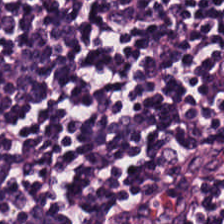WSI patch · hematoxylin and eosin. Q: What tissue is shown?
A: It is lymphocyte aggregate.
